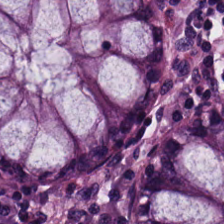Whole-slide-image patch. Hematoxylin-and-eosin stained section — This patch shows non-neoplastic colon mucosa.
